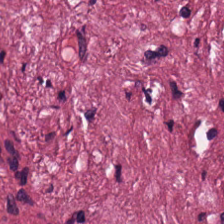H&E — Q: What is shown here?
A: Tumor-associated stroma.
